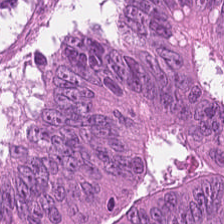H&E. 224×224 pixel tile.
The tissue here is adenocarcinoma.
